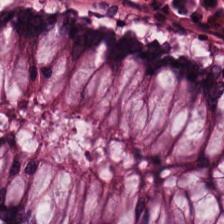Hematoxylin and eosin; 0.5 microns per pixel — Tissue type: benign colonic mucosa.
